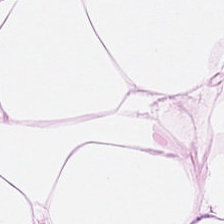H&E stain.
The classification is adipose.
